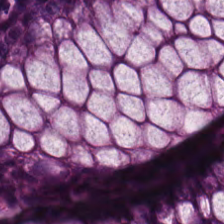H&E stain. Q: Classify this patch.
A: This is non-neoplastic colon mucosa.
